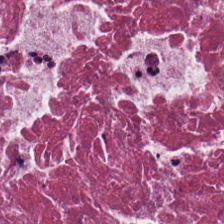H&E stain. Brightfield. Finding — cellular debris.
